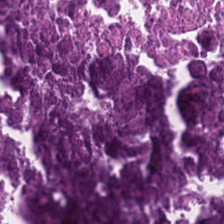Hematoxylin-and-eosin stained section.
Tissue — debris.
